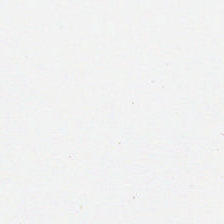Field content: background.
